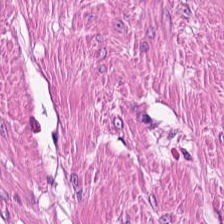H&E.
This field is smooth-muscle tissue.
